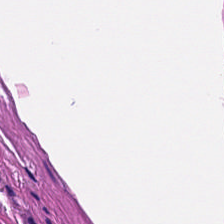H&E-stained tissue section. This field is muscularis.
